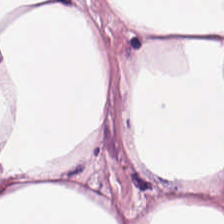Hematoxylin-and-eosin stained section. Whole-slide-image patch — The classification is adipose tissue.
